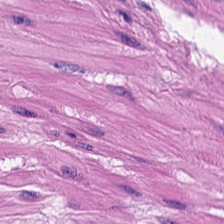H&E-stained tissue section · 20× equivalent magnification · FFPE tissue section. Q: What tissue is shown?
A: The field shows smooth muscle.
